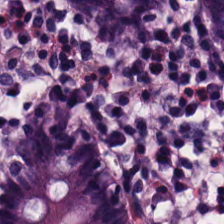Brightfield; H&E stain; FFPE tissue section.
Non-neoplastic colon mucosa.
